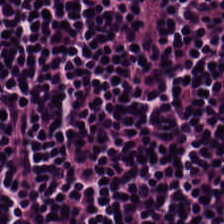Hematoxylin-and-eosin stained section — Tissue — lymphocyte aggregate.
